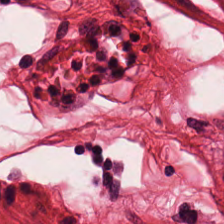Stain: hematoxylin-and-eosin stained section.
Acquisition: whole-slide-image patch.
Tissue: smooth muscle.
